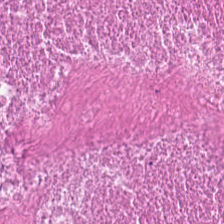H&E-stained tissue section — Showing debris.
